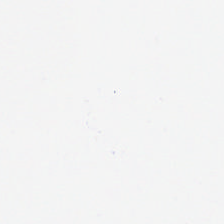Q: What is shown in this field?
A: It is no tissue.
